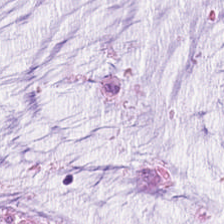224×224 px tile. WSI patch. H&E stain — Tissue class = mucin.
